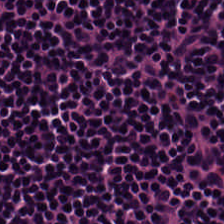Whole-slide-image patch; hematoxylin and eosin.
The predominant tissue is lymphoid infiltrate.
